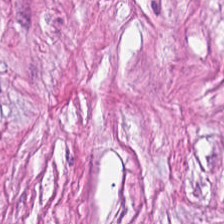Hematoxylin-and-eosin stained section. Brightfield. {"tissue_type": "desmoplastic stroma"}
